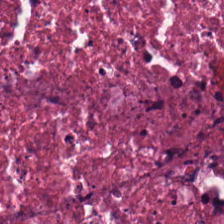Hematoxylin and eosin; WSI patch; FFPE tissue section.
Necrotic debris.
